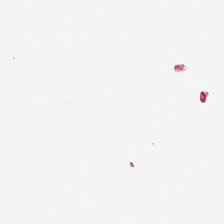Hematoxylin-and-eosin stained section.
This field is background (no tissue).
